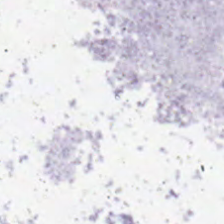This patch shows no tissue.
